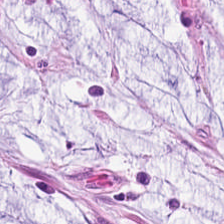FFPE. WSI patch. H&E — Showing mucin.
